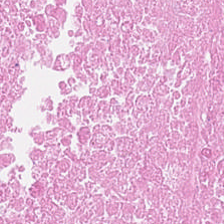The tissue is necrotic debris.
